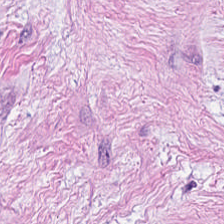WSI patch; H&E stain; FFPE tissue section. Predominantly cancer-associated stroma.
